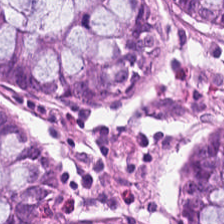Hematoxylin-and-eosin stained section · 224×224 pixel tile · 0.5 µm per pixel.
Tissue — non-neoplastic colon mucosa.
